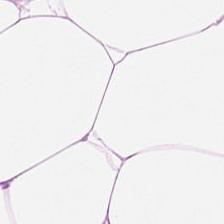224×224 px tile. Hematoxylin-and-eosin stained section.
Predominantly fat tissue.
